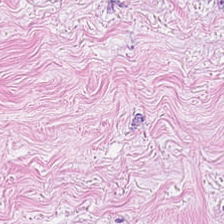H&E stain · 0.5 µm/px · brightfield microscopy.
Finding → tumor-associated stroma.
